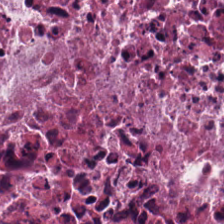H&E stain.
The predominant tissue is cellular debris.
